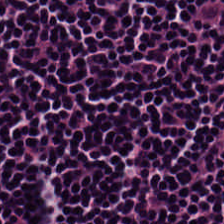Hematoxylin-and-eosin stained section. Q: Classify this patch.
A: The field shows lymphocyte aggregate.
